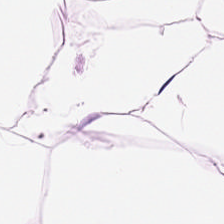Stain: H&E.
Preparation: formalin-fixed paraffin-embedded section.
Tissue: adipose.
